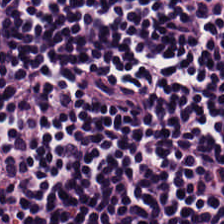H&E-stained tissue section.
Finding — lymphoid infiltrate.
